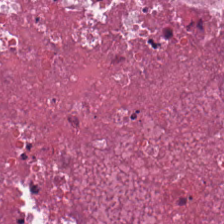Stain: H&E-stained tissue section.
Predominant tissue: necrotic debris.
